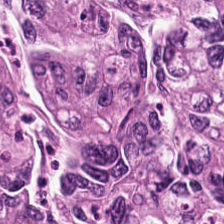H&E-stained tissue section. FFPE. 224×224 px patch. Q: What is shown in this field?
A: Tumor epithelium.
